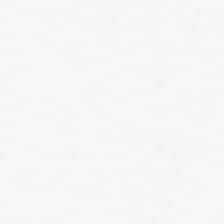This field is background (no tissue).
